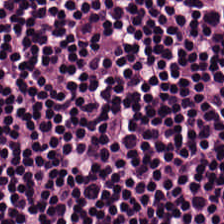Q: What is shown here?
A: It is lymphoid infiltrate.
